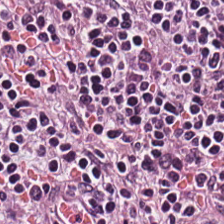FFPE tissue section; H&E-stained tissue section; 224×224 pixel tile.
Q: What is shown in this field?
A: This is lymphocytic infiltrate.
